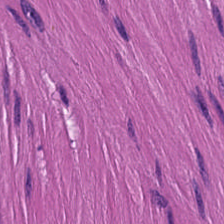H&E-stained tissue section.
This patch shows muscularis.
